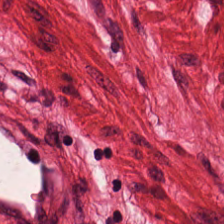Histology — muscularis.
